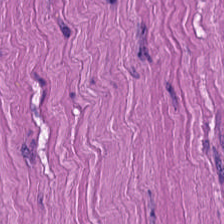Hematoxylin-and-eosin stained section; 20× equivalent magnification — This patch shows smooth-muscle tissue.
